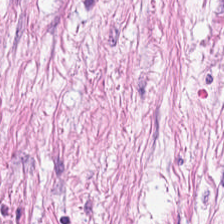Hematoxylin-and-eosin stained section; 224×224 px tile.
Q: What type of tissue is this?
A: The field shows cancer-associated stroma.
